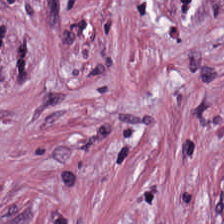Stain: H&E stain.
Tile size: 224×224 px tile.
Tissue class: cancer-associated stroma.
